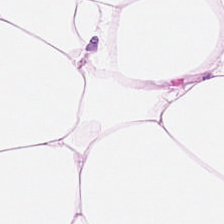Showing fat tissue.
